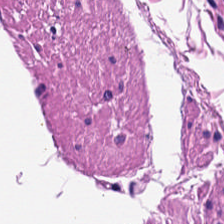Hematoxylin and eosin; 0.5 µm/px.
Tissue class = smooth muscle.
